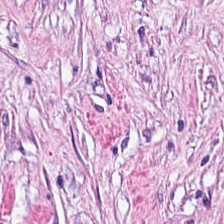224×224 pixel tile · FFPE tissue section · H&E stain — Showing cancer-associated stroma.
